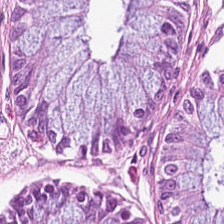Whole-slide-image patch · formalin-fixed paraffin-embedded section · H&E-stained tissue section — The tissue here is normal colonic mucosa.
